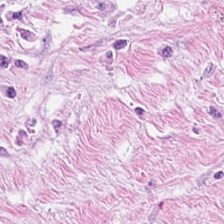224×224 pixel tile. FFPE tissue section. Hematoxylin-and-eosin stained section.
Q: What is shown in this field?
A: This is tumor-associated stroma.
